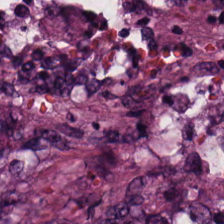H&E-stained tissue section; brightfield; 0.5 µm/px. Q: Classify this patch.
A: This is malignant epithelium.
